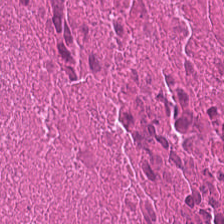H&E patch showing necrotic debris.
